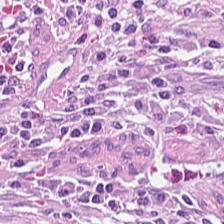Hematoxylin-and-eosin stained section.
{"tissue_type": "tumor-associated stroma"}
